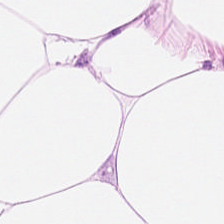Stain: H&E.
Tile size: 224×224 pixel tile.
Resolution: 0.5 µm/px.
Tissue: adipose.
